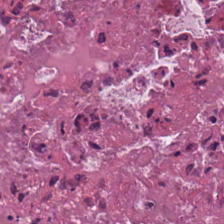H&E stain; FFPE.
Tissue = cellular debris.
